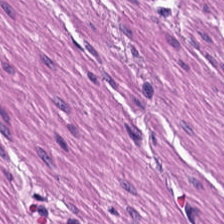Stain: H&E.
Tile size: 224×224 px patch.
Preparation: FFPE.
Predominant tissue: smooth muscle.
